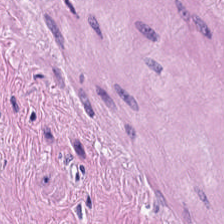The tissue here is smooth muscle.
